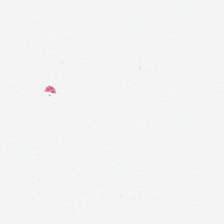Brightfield. Hematoxylin and eosin — This patch shows empty background.
